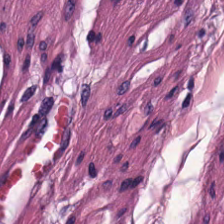Brightfield · H&E · 224×224 px patch.
Q: Classify this patch.
A: It is smooth-muscle tissue.
